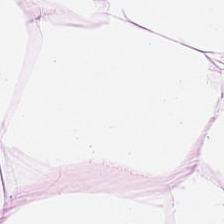H&E · 224×224 px patch. Classification — fat tissue.
